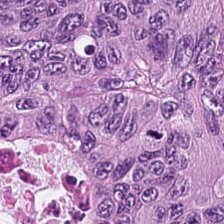Hematoxylin and eosin — The predominant tissue is tumor epithelium.
